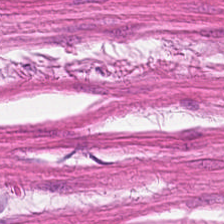Stain: H&E.
Resolution: 0.5 µm per pixel.
Tile size: 224×224 px tile.
Tissue class: smooth muscle.
